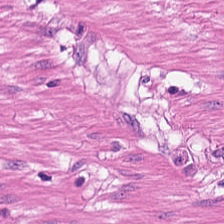Hematoxylin and eosin. The tissue here is smooth muscle.
